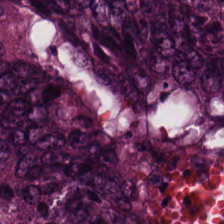Hematoxylin-and-eosin stained section — Tissue: colorectal adenocarcinoma epithelium.
